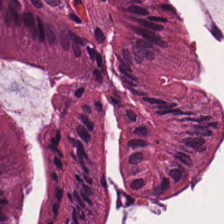Stain: H&E stain.
Tile size: 224×224 px patch.
Tissue class: normal colonic mucosa.
